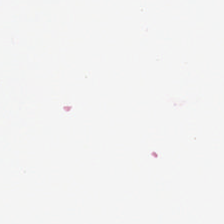Hematoxylin and eosin — Histology — empty background.
